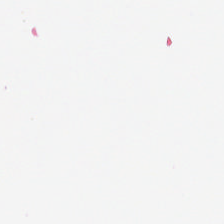H&E. Brightfield.
Content: background.
